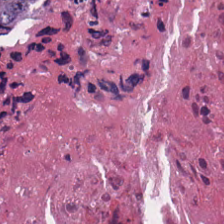Hematoxylin and eosin. The predominant tissue is cellular debris.
